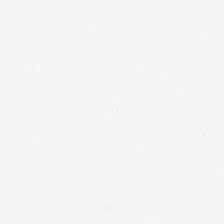No tissue.
